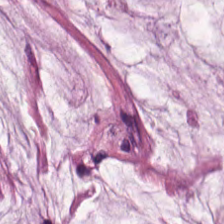The tissue type is mucus.
